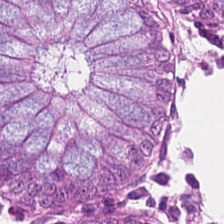Hematoxylin and eosin. 0.5 µm/px. Brightfield — Normal colon mucosa.
